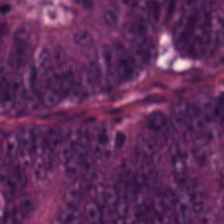H&E stain — Tissue type = colorectal adenocarcinoma epithelium.
